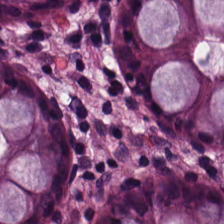FFPE; 20× equivalent magnification; hematoxylin-and-eosin stained section — Finding → benign colonic mucosa.
